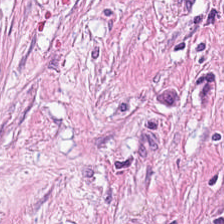Q: What is shown in this field?
A: Tumor stroma.
